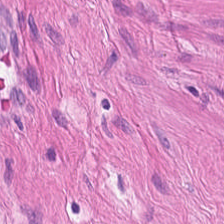H&E.
{"tissue_type": "smooth muscle"}
